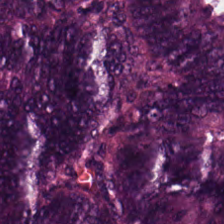The tissue class is malignant epithelium.
